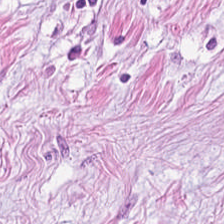Hematoxylin-and-eosin stained section. The predominant tissue is tumor-associated stroma.
